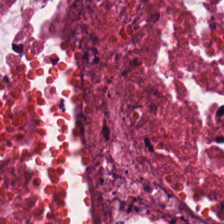Stain: hematoxylin-and-eosin stained section.
Tissue type: debris.
